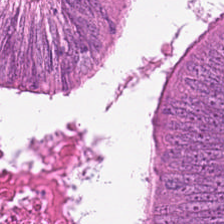Brightfield · 224×224 pixel tile · hematoxylin-and-eosin stained section.
Q: What does this patch show?
A: This is malignant epithelium.
